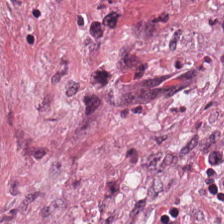Brightfield; H&E stain — Classification = tumor stroma.
